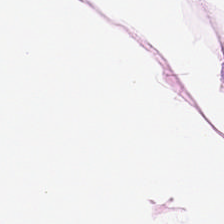H&E stain — Finding → adipose.
